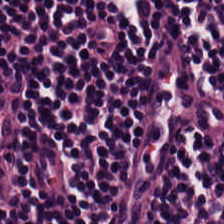Hematoxylin-and-eosin section: lymphocytes.
